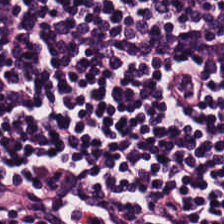Hematoxylin-and-eosin stained section. 224×224 pixel tile — {"tissue_type": "lymphocytic infiltrate"}
